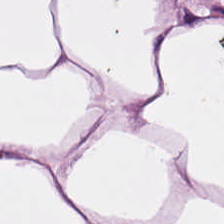Hematoxylin and eosin.
Predominant tissue = adipocytes.
